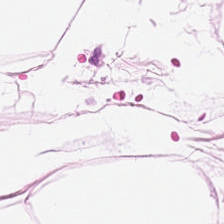Tissue type: adipocytes.
